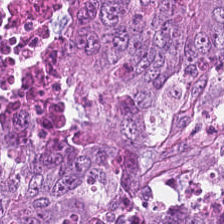Stain: hematoxylin-and-eosin stained section.
Acquisition: brightfield.
Resolution: 0.5 µm per pixel.
Classification: colorectal adenocarcinoma epithelium.
